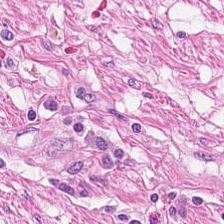Hematoxylin-and-eosin stained section · 20× equivalent magnification · 224×224 pixel tile — This field is smooth muscle.
